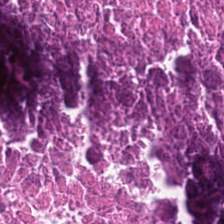Formalin-fixed paraffin-embedded section · 224×224 px tile · hematoxylin and eosin — Necrotic debris.
